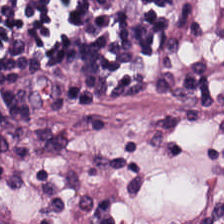H&E · WSI patch — Predominantly lymphoid infiltrate.
